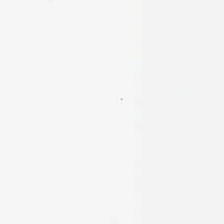H&E.
Q: What does this patch show?
A: The field shows background.
